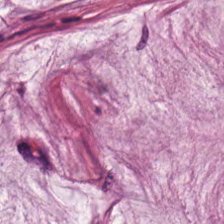H&E — extracellular mucin.
